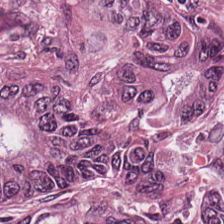H&E stain — Tissue = tumor epithelium.
